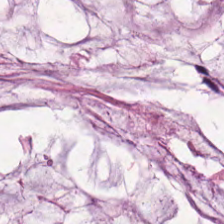Classification — extracellular mucin.
